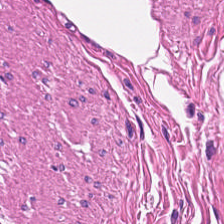Hematoxylin-and-eosin stained section; 224×224 pixel tile.
Q: What does this patch show?
A: This is smooth-muscle tissue.
